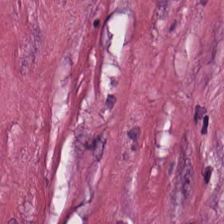H&E stain.
Q: What is the predominant tissue type?
A: The field shows tumor stroma.
